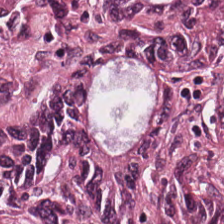Hematoxylin-and-eosin stained section — Tumor epithelium.
